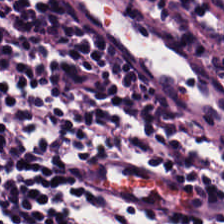20× equivalent magnification · hematoxylin-and-eosin stained section · 224×224 px patch — The tissue here is lymphoid infiltrate.
